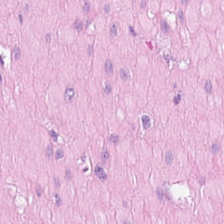Stain: hematoxylin-and-eosin stained section.
Resolution: 20× equivalent magnification.
Tissue type: smooth muscle.
